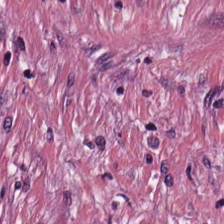Q: What is shown in this field?
A: The field shows cancer-associated stroma.
